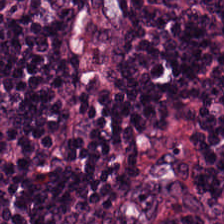FFPE tissue section · H&E.
The tissue here is lymphocytes.
